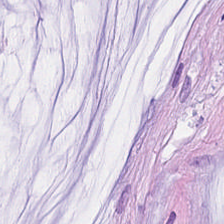Stain: H&E.
Predominant tissue: extracellular mucin.
